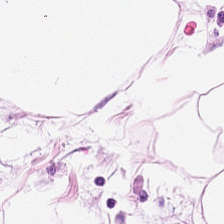Stain: hematoxylin-and-eosin stained section.
Tile size: 224×224 px patch.
Preparation: formalin-fixed paraffin-embedded section.
Predominant tissue: adipose.
